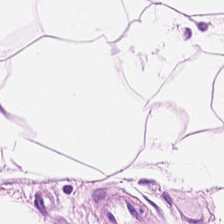Hematoxylin-and-eosin stained section — Predominant tissue: fat tissue.
